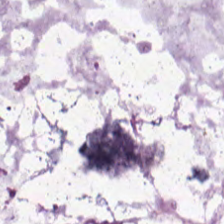{"tissue_type": "mucus"}
